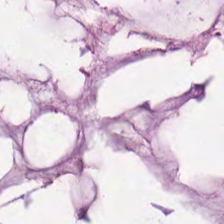Stain: hematoxylin-and-eosin stained section.
Resolution: 0.5 µm per pixel.
Tissue class: extracellular mucin.
